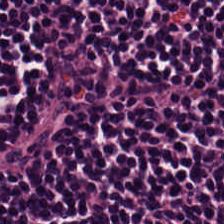Tissue class: lymphocytes.
